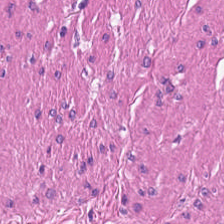Hematoxylin and eosin. Predominant tissue: smooth muscle.
